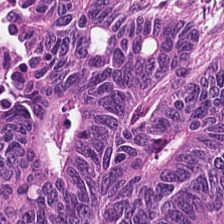H&E.
This field is malignant epithelium.
